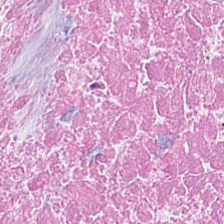H&E-stained tissue section. 224×224 px patch. Showing necrotic debris.
